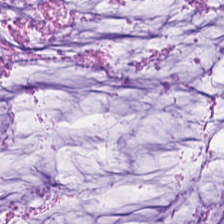0.5 µm per pixel · hematoxylin-and-eosin stained section · 224×224 pixel tile. The classification is mucin.
